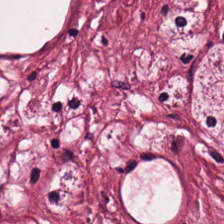0.5 µm per pixel; H&E-stained tissue section; brightfield. Q: What is the predominant tissue type?
A: The field shows cancer-associated stroma.
